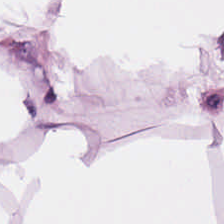H&E. Fat tissue.
